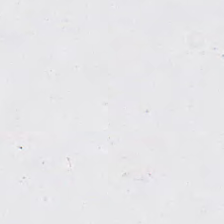H&E-stained tissue section; FFPE.
This field is background (no tissue).
